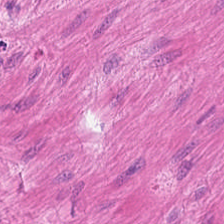H&E-stained tissue section — The predominant tissue is smooth-muscle tissue.
